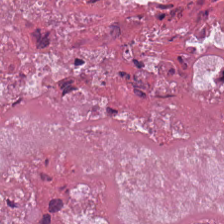Hematoxylin-and-eosin stained section — Histology → cellular debris.
